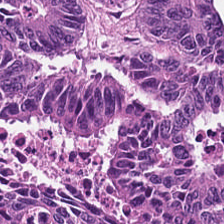Hematoxylin-and-eosin stained section.
Showing malignant epithelium.
